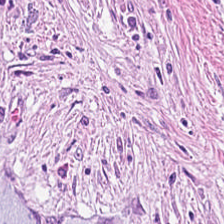Hematoxylin-and-eosin stained section; FFPE tissue section. The tissue here is cancer-associated stroma.
